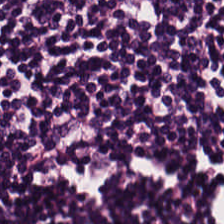Stain: H&E.
Tissue type: lymphoid infiltrate.
